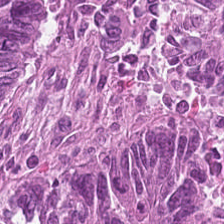H&E-stained tissue section — The classification is malignant epithelium.
